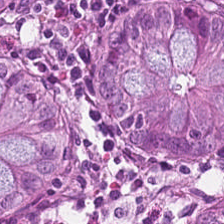Hematoxylin and eosin. Tissue type — non-neoplastic colon mucosa.
